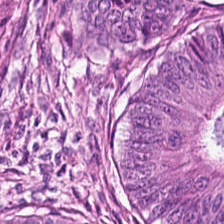H&E-stained tissue section; 224×224 px patch; 20× equivalent magnification.
The predominant tissue is colorectal adenocarcinoma.
